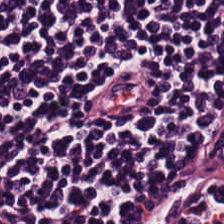H&E; brightfield microscopy. Q: What is the predominant tissue type?
A: The field shows lymphoid infiltrate.
